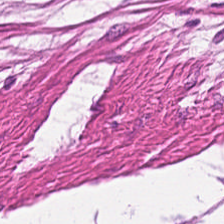Hematoxylin and eosin.
Q: What is shown here?
A: This is smooth muscle.
